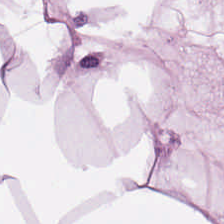H&E. This patch shows adipose tissue.
